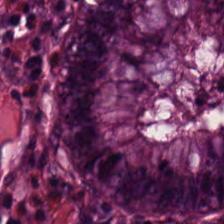H&E-stained tissue section · 224×224 pixel tile.
The predominant tissue is normal colonic mucosa.
